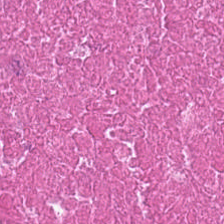H&E — debris.
